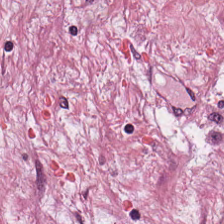Hematoxylin-and-eosin stained section. Predominantly tumor stroma.
